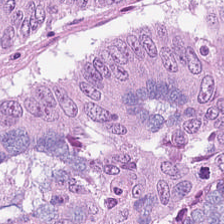224×224 px patch; hematoxylin-and-eosin stained section.
Colorectal adenocarcinoma.
